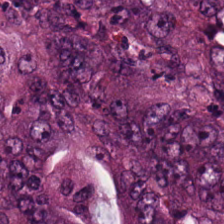Hematoxylin-and-eosin stained section — {"tissue_type": "adenocarcinoma"}
